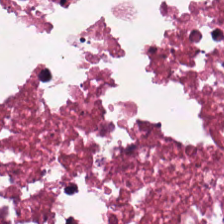H&E-stained tissue section — Predominantly necrotic debris.
